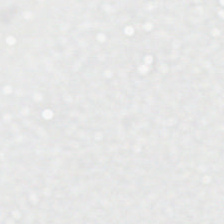Brightfield; hematoxylin and eosin. This field is background (no tissue).
